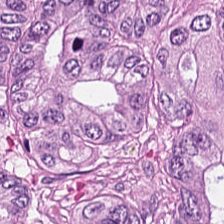H&E-stained tissue section — This field is colorectal adenocarcinoma epithelium.
